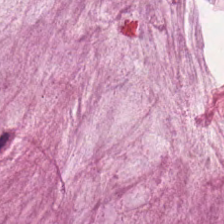Hematoxylin-and-eosin stained section; 0.5 microns per pixel; FFPE tissue section. Q: What type of tissue is this?
A: Mucus.
